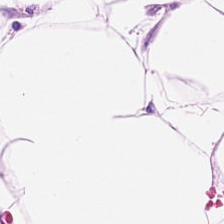Brightfield. 0.5 microns per pixel. H&E stain.
The predominant tissue is adipocytes.
